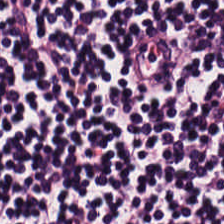Stain: hematoxylin-and-eosin stained section.
Tissue class: lymphoid infiltrate.
